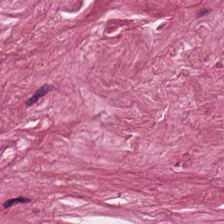H&E-stained section; the field shows cancer-associated stroma.
